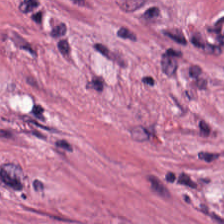Hematoxylin and eosin — The predominant tissue is desmoplastic stroma.
